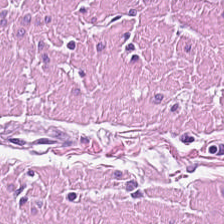Formalin-fixed paraffin-embedded section · H&E.
Tissue = muscularis.
